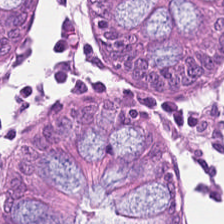Hematoxylin-and-eosin stained section.
The tissue class is normal colon mucosa.
